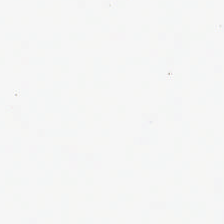Hematoxylin-and-eosin stained section; WSI patch. Content — background.
